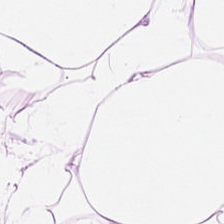Stain: H&E-stained tissue section.
Resolution: 0.5 µm per pixel.
Tissue type: adipose tissue.
